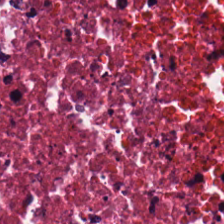H&E stain · WSI patch · 0.5 µm/px. Finding — necrotic debris.
